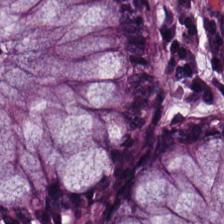The tissue class is normal colon mucosa.
